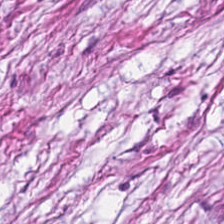H&E stain. 20× equivalent magnification. {"tissue_type": "tumor stroma"}
